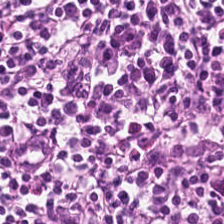H&E stain · 224×224 px tile — {"tissue_type": "lymphocytes"}
